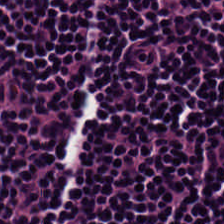Hematoxylin-and-eosin stained section.
Predominantly lymphocytes.
